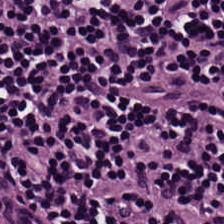Formalin-fixed paraffin-embedded section; hematoxylin-and-eosin stained section.
Showing lymphocytic infiltrate.
